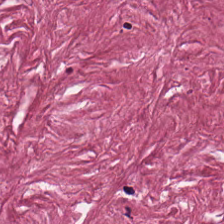H&E.
The tissue class is cancer-associated stroma.
